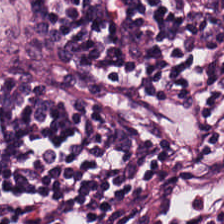Hematoxylin-and-eosin stained section · 224×224 px tile. Q: What tissue type is shown here?
A: Lymphocytes.
